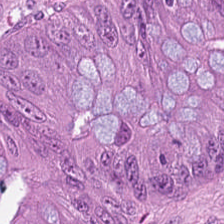0.5 µm/px; H&E stain; whole-slide-image patch.
{"tissue_type": "tumor epithelium"}
